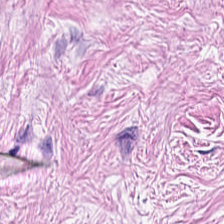H&E-stained tissue section · 224×224 px tile. Impression — tumor stroma.
